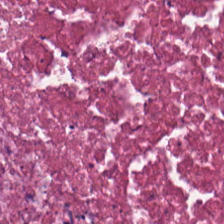WSI patch; FFPE tissue section; H&E-stained tissue section. Predominantly debris.
